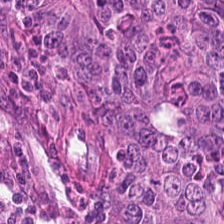H&E stain. Finding → adenocarcinoma.
